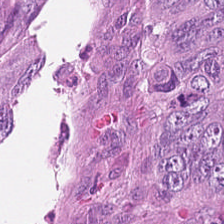H&E stain · formalin-fixed paraffin-embedded section — Finding → tumor epithelium.
